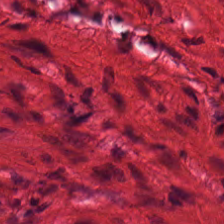H&E — The tissue here is smooth muscle.
